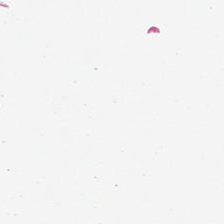Stain: H&E.
Acquisition: brightfield microscopy.
Field content: empty background.
